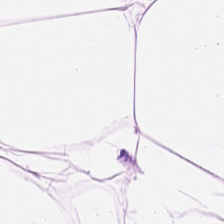H&E stain. Histology → adipose tissue.
